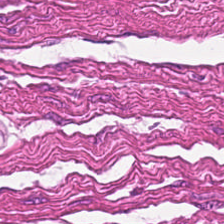H&E.
The predominant tissue is muscularis.
